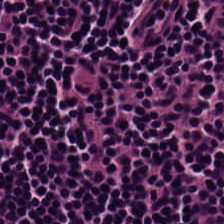0.5 microns per pixel; 224×224 px tile; H&E stain.
Tissue type — lymphocytes.
